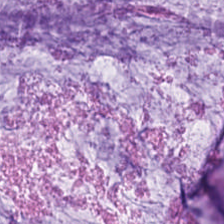Hematoxylin and eosin; 224×224 px tile; formalin-fixed paraffin-embedded section.
Classification: extracellular mucin.
